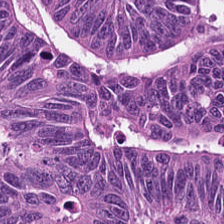Hematoxylin and eosin. This patch shows colorectal adenocarcinoma epithelium.
